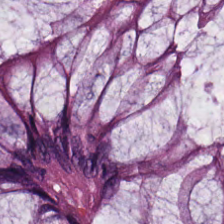H&E-stained tissue section.
This patch shows benign colonic mucosa.
